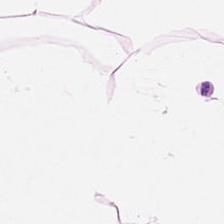H&E stain. Showing fat tissue.
